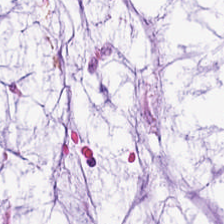Stain: hematoxylin-and-eosin stained section.
Predominant tissue: mucus.
